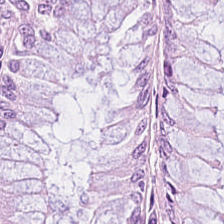H&E.
Q: What is shown in this field?
A: It is non-neoplastic colon mucosa.
